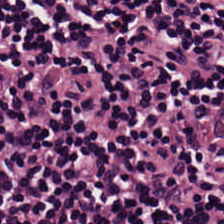H&E — lymphoid infiltrate.
